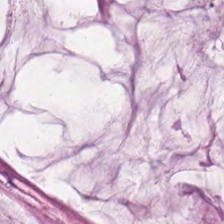0.5 microns per pixel · H&E.
Histology → mucin.
